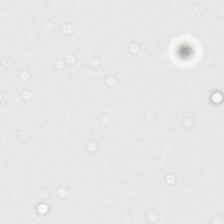H&E.
Q: What does this patch show?
A: It is empty background.
